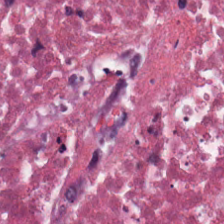0.5 µm per pixel. Hematoxylin-and-eosin stained section. Cellular debris.
